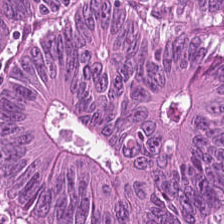H&E-stained tissue section. Finding — malignant epithelium.
